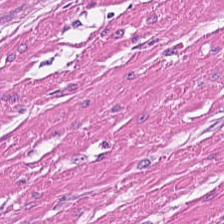Tissue = smooth muscle.
